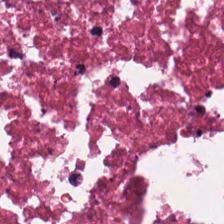Hematoxylin and eosin; 224×224 px patch. Q: What type of tissue is this?
A: This is cellular debris.
